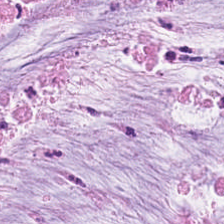20× equivalent magnification. H&E. 224×224 pixel tile — Tissue = mucus.
